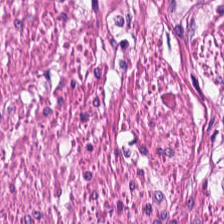Stain: hematoxylin-and-eosin stained section.
Acquisition: brightfield.
Tissue type: muscularis.
